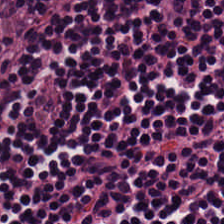H&E stain. The predominant tissue is lymphocyte aggregate.
